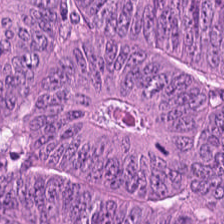Hematoxylin and eosin · 224×224 pixel tile. Predominant tissue: tumor epithelium.
